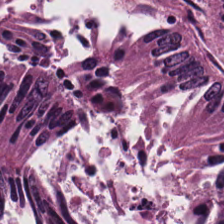Hematoxylin-and-eosin stained section.
The predominant tissue is colorectal adenocarcinoma.
